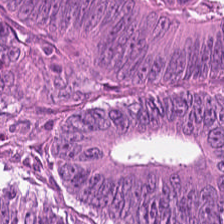Tissue: malignant epithelium.
